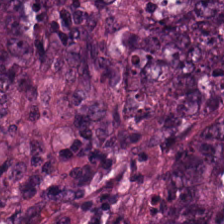H&E-stained tissue section · brightfield · formalin-fixed paraffin-embedded section. Impression — tumor epithelium.
